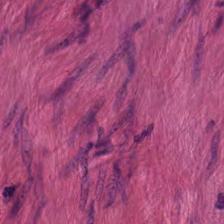Formalin-fixed paraffin-embedded section. H&E-stained tissue section. Brightfield microscopy.
The predominant tissue is smooth muscle.
